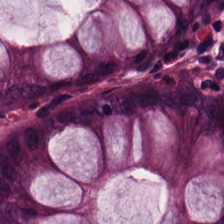H&E-stained tissue section. Histology — non-neoplastic colon mucosa.
